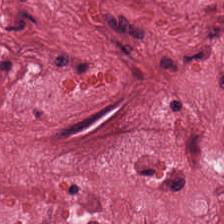Hematoxylin and eosin. {"tissue_type": "tumor-associated stroma"}
